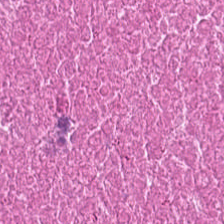H&E-stained tissue section.
Predominant tissue = debris.
